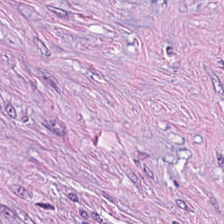H&E patch showing cancer-associated stroma.
